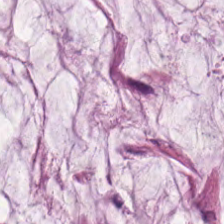Brightfield microscopy; hematoxylin and eosin.
{"tissue_type": "extracellular mucin"}
